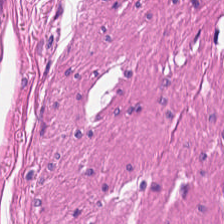Finding — smooth muscle.
